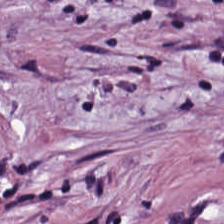H&E stain.
The classification is desmoplastic stroma.
